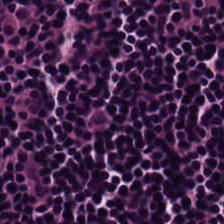WSI patch · hematoxylin-and-eosin stained section · 0.5 µm per pixel — The predominant tissue is lymphoid infiltrate.
